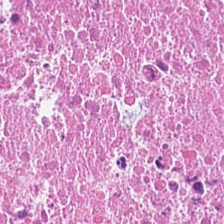Impression → necrotic debris.
